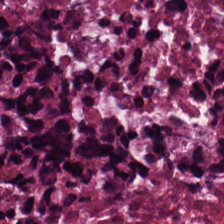Tissue: debris.
